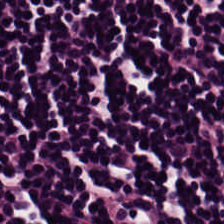Whole-slide-image patch · H&E · 224×224 pixel tile — Tissue type: lymphoid infiltrate.
